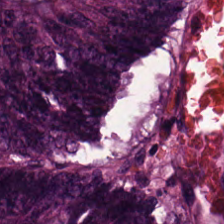H&E stain. Impression → adenocarcinoma.
